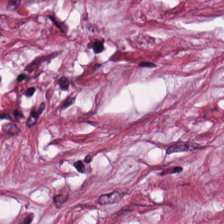H&E-stained tissue section — Q: Classify this patch.
A: The field shows cancer-associated stroma.
